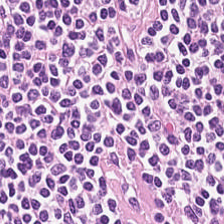H&E stain. {"tissue_type": "lymphocytes"}
